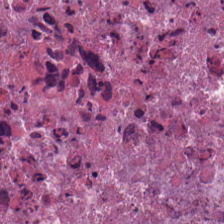Q: Identify the tissue.
A: Cellular debris.
